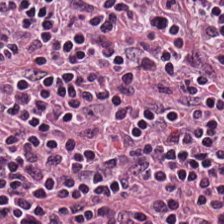H&E · 0.5 µm/px.
Predominantly lymphocytic infiltrate.
